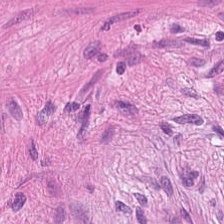H&E stain. This field is smooth muscle.
